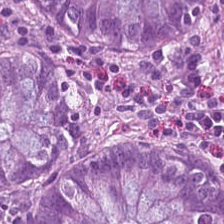224×224 pixel tile · H&E-stained tissue section.
Q: What does this patch show?
A: Non-neoplastic colon mucosa.
